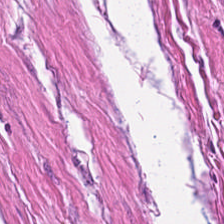H&E stain. Tissue type — smooth muscle.
